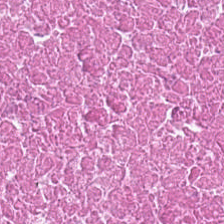Hematoxylin and eosin.
Histology — debris.
